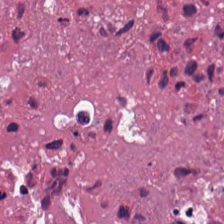Hematoxylin-and-eosin stained section. WSI patch. 224×224 pixel tile. Necrotic debris.
